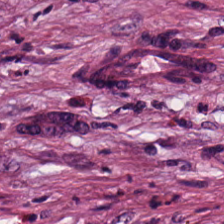H&E-stained tissue section.
Q: What does this patch show?
A: This is tumor-associated stroma.
